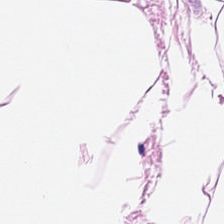Stain: H&E.
Tissue: adipocytes.
